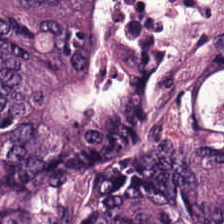H&E-stained tissue section — The tissue here is colorectal adenocarcinoma.
